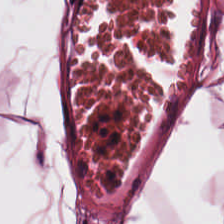Whole-slide-image patch. 20× equivalent magnification. H&E stain.
Histology → adipose.
